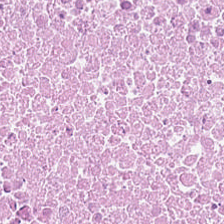224×224 px tile. H&E-stained tissue section. 20× equivalent magnification.
Predominantly debris.
